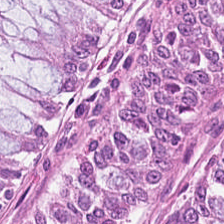Hematoxylin-and-eosin stained section — Showing normal colon mucosa.
